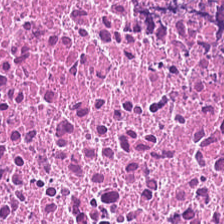Hematoxylin-and-eosin stained section. Tissue class — necrotic debris.
